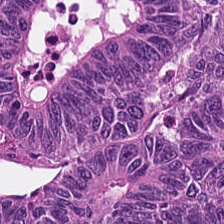Malignant epithelium.
